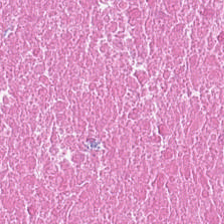Stain: H&E-stained tissue section.
Tissue class: necrotic debris.
